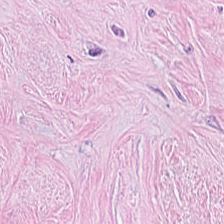H&E.
Tissue: cancer-associated stroma.
